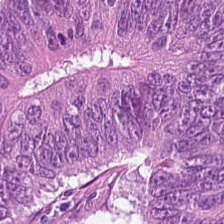Hematoxylin and eosin. FFPE. Predominantly colorectal adenocarcinoma.
